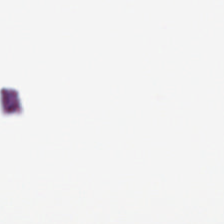224×224 px patch; H&E-stained tissue section; formalin-fixed paraffin-embedded section.
No tissue present; background only.
